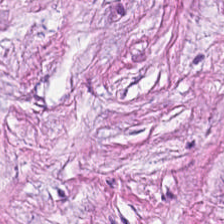H&E.
This field is tumor stroma.
